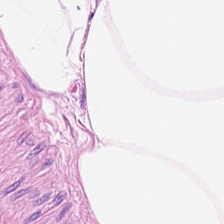H&E stain. Showing adipose tissue.
